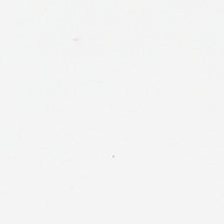Stain: hematoxylin and eosin.
Field content: no tissue.
